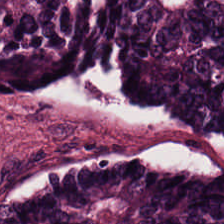Predominant tissue = malignant epithelium.
